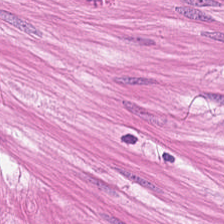Tissue type: smooth-muscle tissue.
